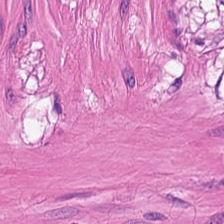Hematoxylin-and-eosin stained section.
Finding — smooth-muscle tissue.
